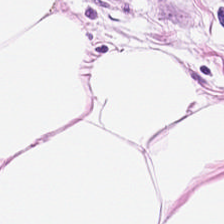H&E stain — Showing adipose.
